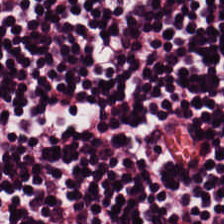The tissue is lymphocytic infiltrate.
